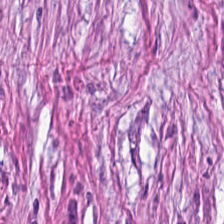H&E. Predominantly desmoplastic stroma.
